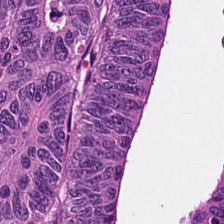This field is malignant epithelium.
